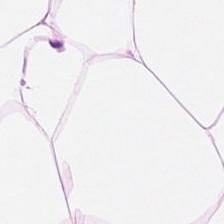Brightfield; hematoxylin-and-eosin stained section; 224×224 px patch — Q: What tissue type is shown here?
A: Adipocytes.
